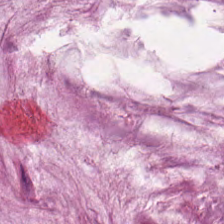Brightfield microscopy; hematoxylin and eosin.
Tissue type: extracellular mucin.
